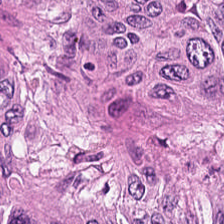Q: What is shown in this field?
A: The field shows adenocarcinoma.
